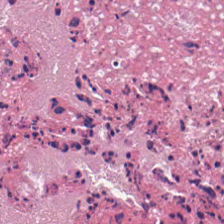H&E — debris.
